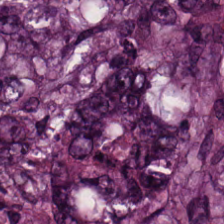Stain: H&E.
Tissue type: tumor epithelium.
